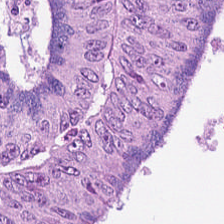Formalin-fixed paraffin-embedded section. Hematoxylin and eosin. Brightfield microscopy. Classification: adenocarcinoma.
